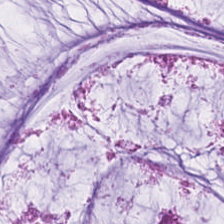H&E-stained tissue section.
Finding → mucus.
